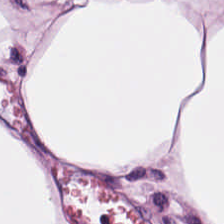224×224 pixel tile; hematoxylin-and-eosin stained section. Histology → adipose tissue.
